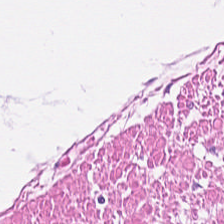Brightfield microscopy. H&E-stained tissue section. 0.5 microns per pixel — Smooth-muscle tissue.
